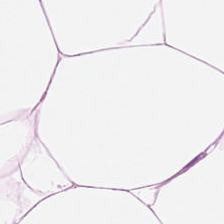Adipose.
